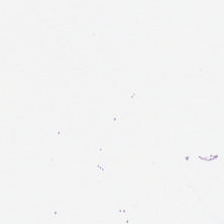Q: Classify this patch.
A: The field shows no tissue.
